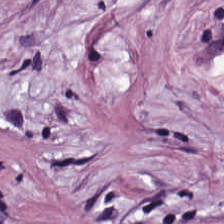H&E-stained tissue section — Q: What tissue is shown?
A: It is cancer-associated stroma.
